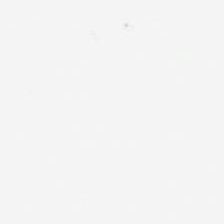H&E-stained tissue section.
Q: Classify this patch.
A: The field shows empty background.
